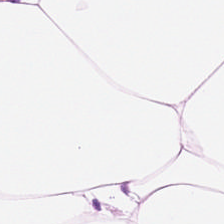H&E — adipose tissue.
